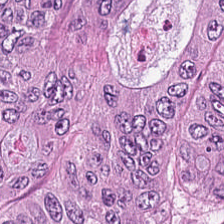Brightfield microscopy. H&E-stained tissue section. This field is adenocarcinoma.
